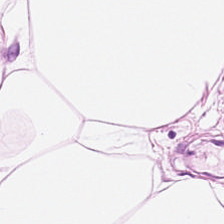H&E-stained tissue section — Showing fat tissue.
